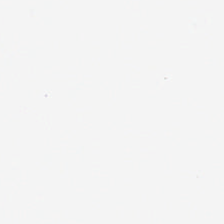H&E stain; 0.5 microns per pixel — Background — no tissue in this field.
